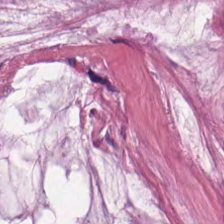Stain: H&E.
Classification: mucin.
